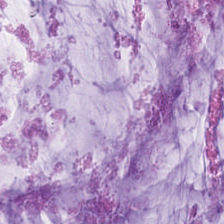Hematoxylin and eosin · 0.5 µm/px — Q: What tissue is shown?
A: It is extracellular mucin.
